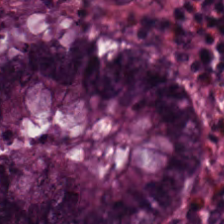H&E · FFPE · 224×224 pixel tile.
Tissue type: normal colon mucosa.
